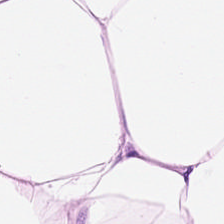Hematoxylin-and-eosin stained section.
Q: What tissue type is shown here?
A: Adipocytes.
